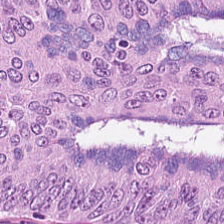H&E stain · 224×224 pixel tile. {"tissue_type": "tumor epithelium"}
